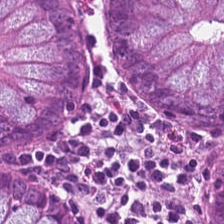FFPE. Hematoxylin and eosin.
This patch shows normal colonic mucosa.
